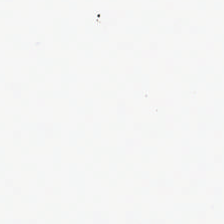Field content — background.
